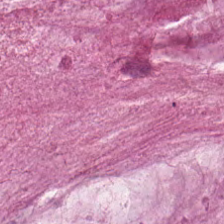H&E stain — Finding — mucus.
